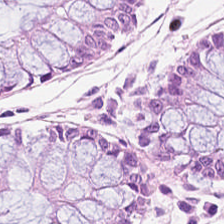H&E. Predominant tissue — benign colonic mucosa.
